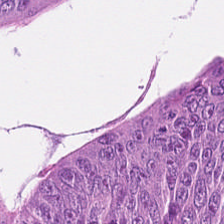Impression — tumor epithelium.
